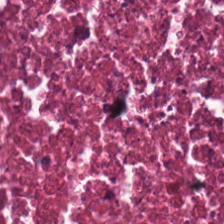Stain: hematoxylin and eosin.
Tile size: 224×224 pixel tile.
Tissue type: cellular debris.
